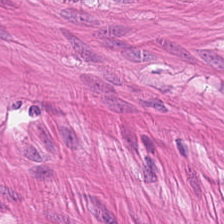FFPE · H&E stain — The tissue here is muscularis.
